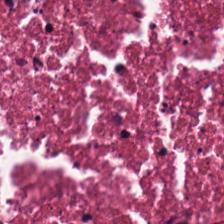Hematoxylin and eosin. Brightfield microscopy — Debris.
